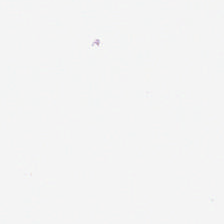No tissue.
